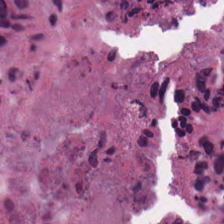H&E — Predominantly debris.
